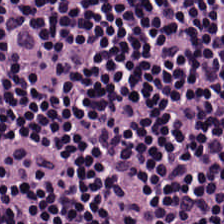224×224 px tile; hematoxylin and eosin.
{"tissue_type": "lymphoid infiltrate"}
